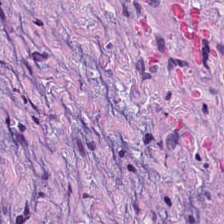0.5 microns per pixel · hematoxylin-and-eosin stained section. This patch shows tumor-associated stroma.
